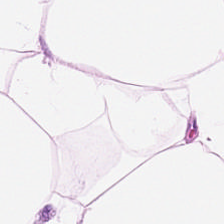Q: What tissue type is shown here?
A: The field shows fat tissue.
